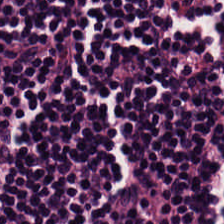H&E-stained tissue section showing lymphocytic infiltrate.
